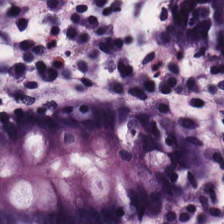H&E patch showing normal colonic mucosa.
